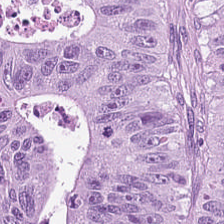Hematoxylin and eosin — Classification — adenocarcinoma.
